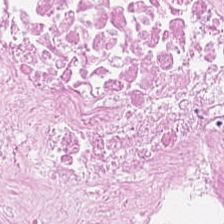Q: What tissue is shown?
A: Debris.
